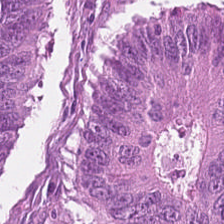20× equivalent magnification; H&E — The tissue is colorectal adenocarcinoma.
